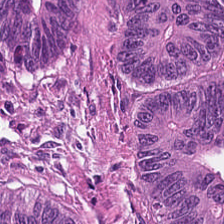Hematoxylin and eosin.
Predominantly malignant epithelium.
